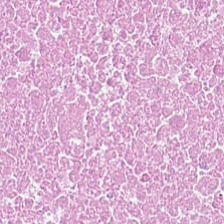H&E — Tissue — debris.
